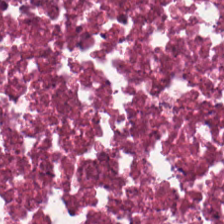Hematoxylin-and-eosin stained section · WSI patch.
Tissue class = necrotic debris.
